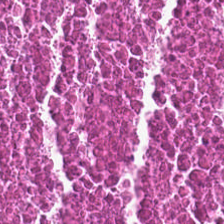H&E-stained tissue section — Q: What type of tissue is this?
A: The field shows necrotic debris.
